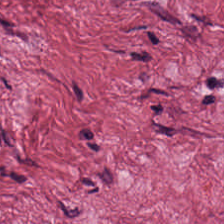Hematoxylin and eosin · brightfield microscopy. {"tissue_type": "desmoplastic stroma"}
